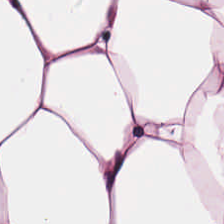Tissue class — adipose tissue.
